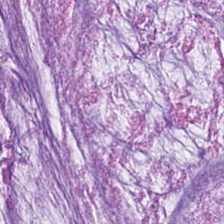H&E-stained tissue section. 0.5 microns per pixel.
Tissue class — extracellular mucin.
